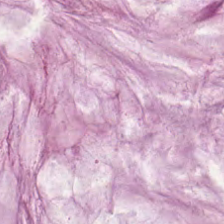H&E-stained tissue section; 224×224 px tile. Tissue = mucus.
